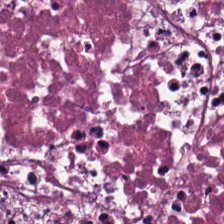H&E-stained tissue section; 0.5 microns per pixel; 224×224 px patch. Classification: necrotic debris.
